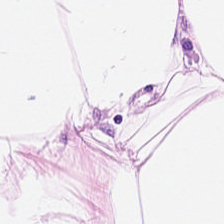Hematoxylin-and-eosin stained section; 224×224 pixel tile — The tissue class is adipose tissue.
